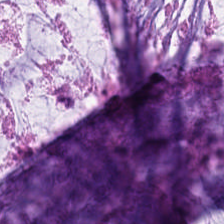H&E-stained tissue section — The tissue here is mucin.
